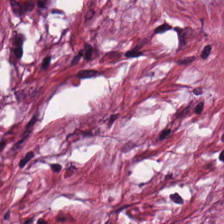Hematoxylin and eosin. Predominantly desmoplastic stroma.
